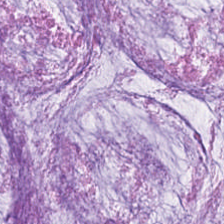H&E-stained tissue section. The predominant tissue is mucus.
